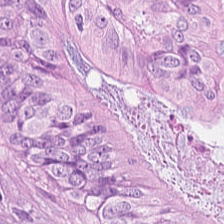Hematoxylin and eosin. 20× equivalent magnification. Predominant tissue — malignant epithelium.
